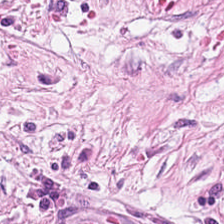H&E stain; FFPE tissue section.
Predominantly cancer-associated stroma.
